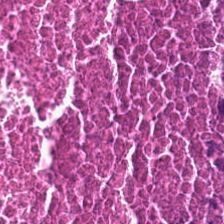H&E stain · 0.5 µm per pixel — Debris.
